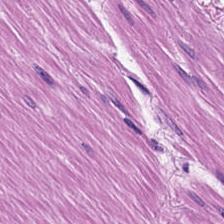H&E stain. Q: What is shown here?
A: This is smooth muscle.
